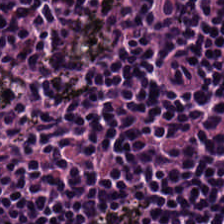Formalin-fixed paraffin-embedded section; H&E. Showing lymphocytic infiltrate.
